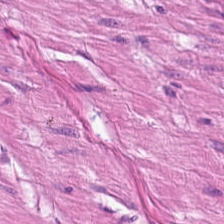Q: What type of tissue is this?
A: It is muscularis.
